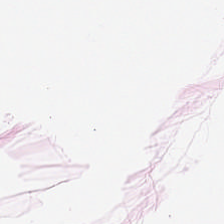Stain: H&E-stained tissue section.
Tissue type: adipose tissue.
